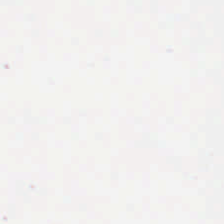This patch shows empty background.
